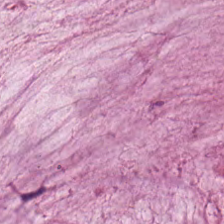20× equivalent magnification. H&E stain. 224×224 px tile. Q: What is shown in this field?
A: This is mucus.
